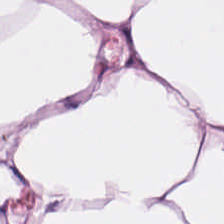Formalin-fixed paraffin-embedded section · H&E-stained tissue section. Predominantly fat tissue.
